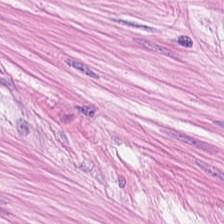The tissue class is muscularis.
